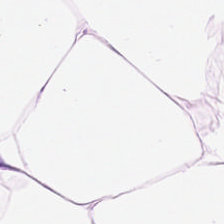H&E.
{"tissue_type": "fat tissue"}
